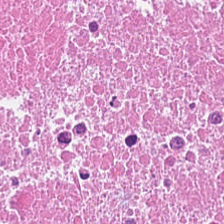224×224 pixel tile; H&E-stained tissue section; 20× equivalent magnification. The predominant tissue is cellular debris.
